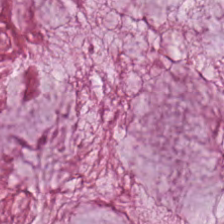H&E. Impression — mucus.
